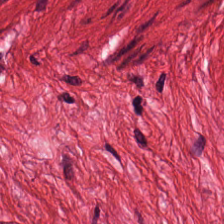Hematoxylin-and-eosin stained section. {"tissue_type": "smooth-muscle tissue"}
